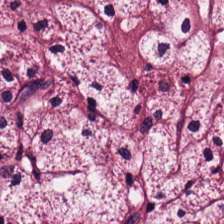H&E-stained tissue section. Histology → cancer-associated stroma.
